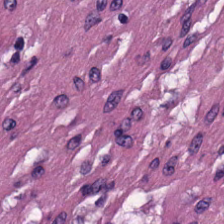Tissue type = smooth-muscle tissue.
